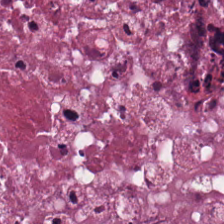H&E. {"tissue_type": "cellular debris"}
